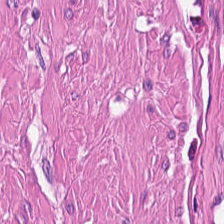Finding — muscularis.
